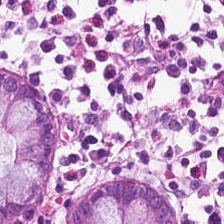Brightfield microscopy; H&E-stained tissue section; 224×224 px patch. Finding — normal colon mucosa.
